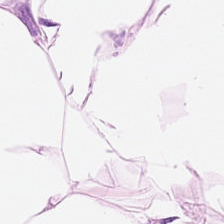Impression → adipose.
